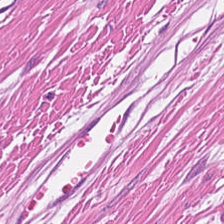H&E stain — Histology — smooth muscle.
